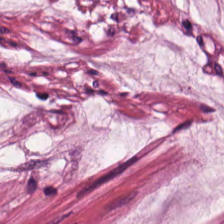Stain: hematoxylin and eosin.
Tissue class: mucus.
